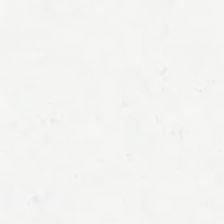Hematoxylin-and-eosin stained section.
This field is background (no tissue).
